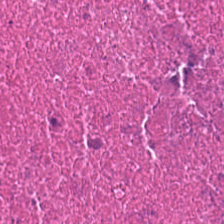Stain: H&E.
Tile size: 224×224 pixel tile.
Classification: debris.
